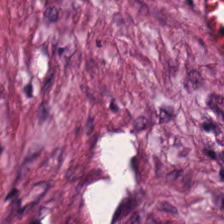Hematoxylin and eosin. FFPE. Classification — cancer-associated stroma.
